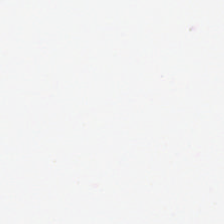224×224 pixel tile · hematoxylin and eosin · brightfield. Q: What is shown here?
A: This is background (no tissue).
